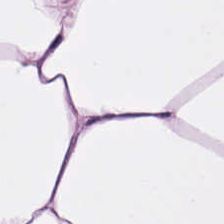Hematoxylin-and-eosin stained section.
Showing fat tissue.
